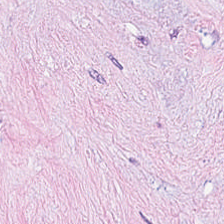Classification = cancer-associated stroma.
